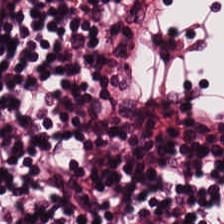H&E stain.
Predominant tissue — lymphoid infiltrate.
